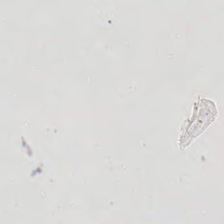Field content — no tissue.
